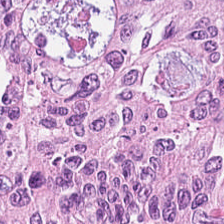FFPE tissue section. H&E — Q: Identify the tissue.
A: The field shows malignant epithelium.
